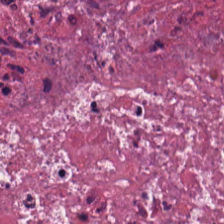H&E-stained tissue section — Showing cellular debris.
